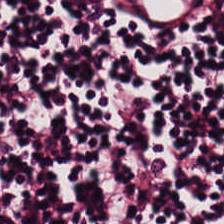Tissue type = lymphocytes.
